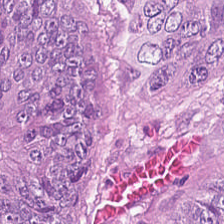Hematoxylin and eosin — The tissue here is colorectal adenocarcinoma epithelium.
